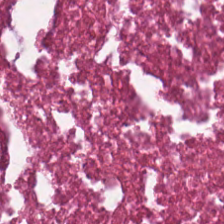H&E-stained tissue section.
Tissue type = cellular debris.
